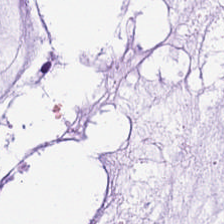Whole-slide-image patch; hematoxylin-and-eosin stained section. Q: Identify the tissue.
A: This is mucin.
